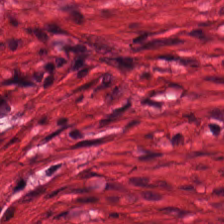Brightfield; H&E stain — Smooth-muscle tissue.
